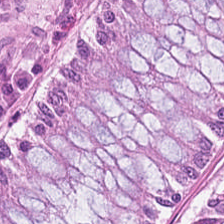H&E stain.
The tissue here is non-neoplastic colon mucosa.
